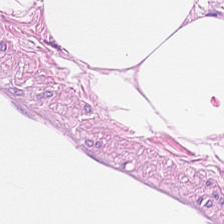224×224 pixel tile. H&E stain. 0.5 µm per pixel — This field is fat tissue.
